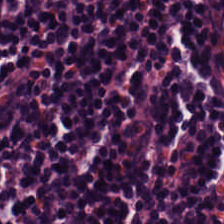Brightfield; H&E; FFPE — {"tissue_type": "lymphocyte aggregate"}
